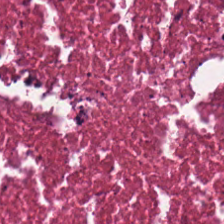224×224 px patch; hematoxylin and eosin — The predominant tissue is cellular debris.
